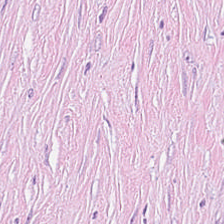Hematoxylin and eosin. The predominant tissue is desmoplastic stroma.
